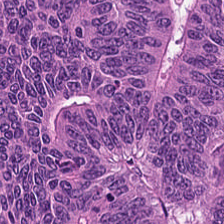Stain: hematoxylin and eosin.
Preparation: FFPE.
Acquisition: brightfield microscopy.
Tissue class: tumor epithelium.
